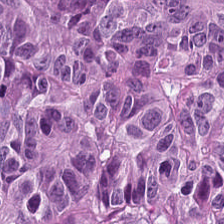Hematoxylin-and-eosin stained section — Predominant tissue — malignant epithelium.
